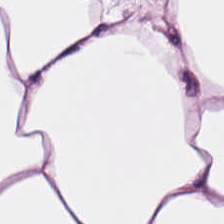Hematoxylin and eosin — {"tissue_type": "adipose tissue"}
